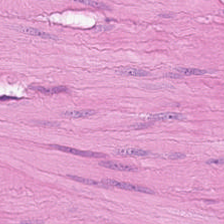FFPE tissue section. H&E stain. 0.5 µm per pixel — Q: What is shown in this field?
A: The field shows smooth muscle.
